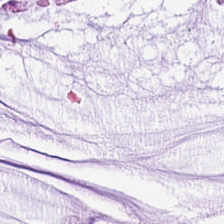Hematoxylin and eosin. This field is mucin.
